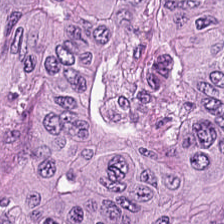Hematoxylin and eosin · brightfield · 0.5 µm/px — Colorectal adenocarcinoma.
